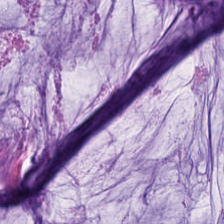Brightfield · H&E — Mucin.
